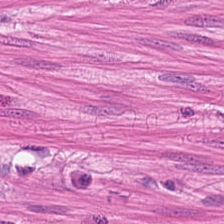Classification — smooth-muscle tissue.
